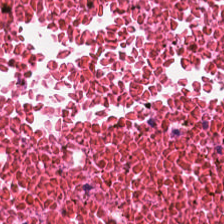Whole-slide-image patch; H&E — The tissue here is necrotic debris.
